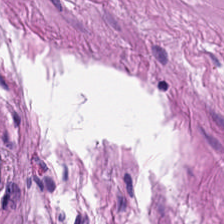H&E-stained tissue section.
The tissue type is smooth-muscle tissue.
